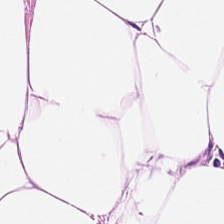H&E-stained tissue section. WSI patch.
Q: What type of tissue is this?
A: It is fat tissue.
